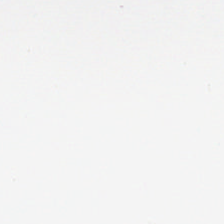20× equivalent magnification · hematoxylin and eosin · brightfield.
The content is background.
